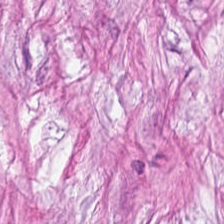Tissue class — cancer-associated stroma.
